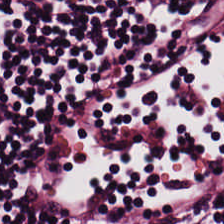H&E stain. Predominant tissue — lymphoid infiltrate.
